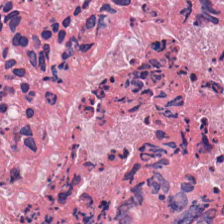The tissue class is cellular debris.
